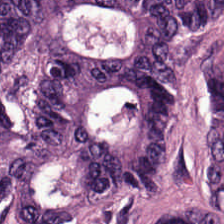Hematoxylin and eosin. Brightfield microscopy.
Showing colorectal adenocarcinoma epithelium.
